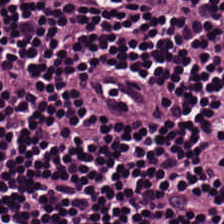H&E-stained tissue section. Predominantly lymphocytes.
